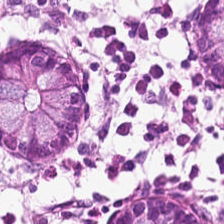Showing non-neoplastic colon mucosa.
